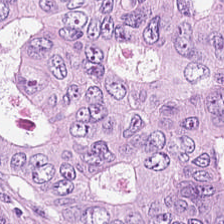H&E stain. The predominant tissue is malignant epithelium.
